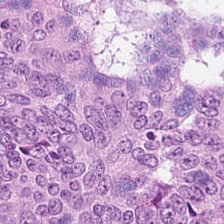Brightfield. Formalin-fixed paraffin-embedded section. Hematoxylin and eosin. Q: What tissue is shown?
A: It is adenocarcinoma.
